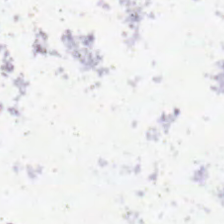{"content": "background"}
